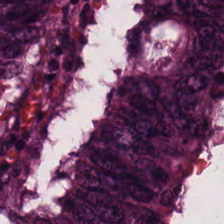H&E-stained tissue section — This patch shows colorectal adenocarcinoma.
